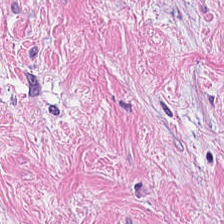H&E-stained section; the field shows tumor-associated stroma.
